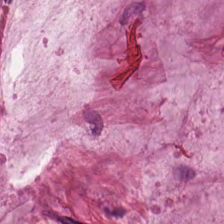Hematoxylin and eosin.
The tissue here is mucus.
